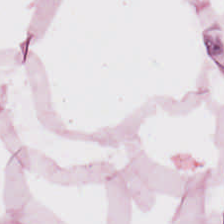Finding — adipocytes.
